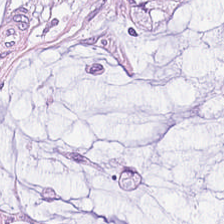H&E stain.
Showing mucin.
